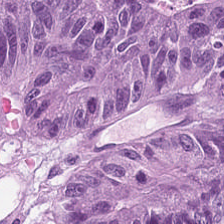H&E. The tissue class is malignant epithelium.
